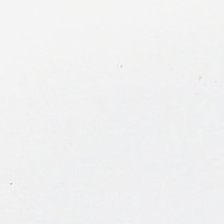Histology → no tissue.
